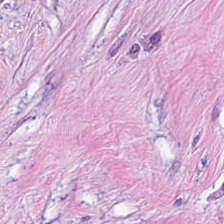H&E stain. The predominant tissue is cancer-associated stroma.
